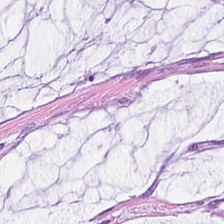224×224 px patch · H&E stain — Finding → extracellular mucin.
